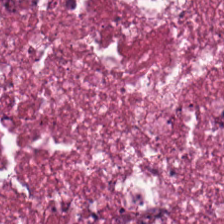Stain: H&E.
Tile size: 224×224 px patch.
Acquisition: whole-slide-image patch.
Tissue type: cellular debris.
